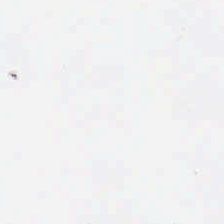Hematoxylin and eosin — Empty field — empty background.
